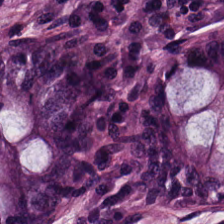Stain: H&E-stained tissue section.
Tile size: 224×224 pixel tile.
Classification: normal colonic mucosa.
